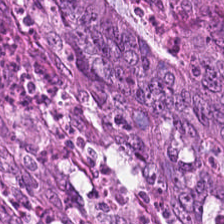H&E — The tissue here is adenocarcinoma.
